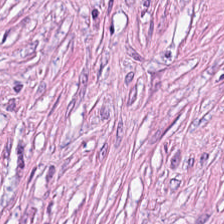Finding → tumor-associated stroma.
